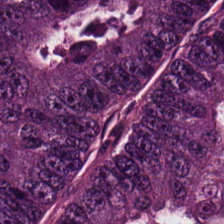Q: What is shown here?
A: It is adenocarcinoma.
